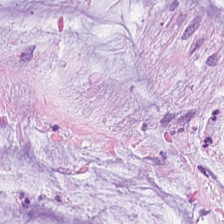H&E — mucus.
